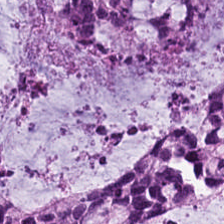Hematoxylin and eosin. This field is mucus.
